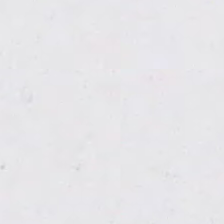Hematoxylin-and-eosin stained section. Brightfield microscopy. 0.5 µm/px.
No tissue.
